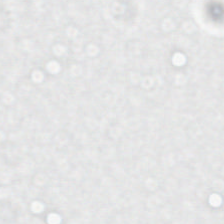Content = no tissue.
